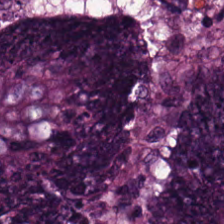Hematoxylin-and-eosin stained section — The tissue type is malignant epithelium.
